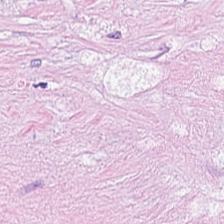224×224 px patch · hematoxylin and eosin — Showing desmoplastic stroma.
